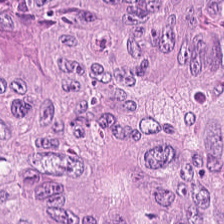Formalin-fixed paraffin-embedded section · hematoxylin-and-eosin stained section — Tissue type: adenocarcinoma.
